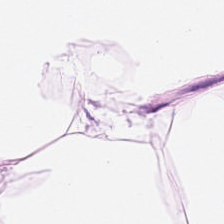Hematoxylin and eosin — {"tissue_type": "adipose"}
